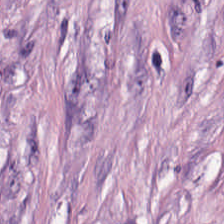WSI patch. Hematoxylin-and-eosin stained section — Tissue class: tumor-associated stroma.
